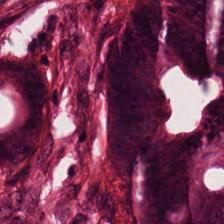Brightfield. H&E. This patch shows colorectal adenocarcinoma.
